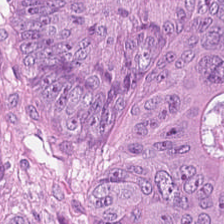20× equivalent magnification; hematoxylin and eosin; whole-slide-image patch.
Predominantly colorectal adenocarcinoma.
